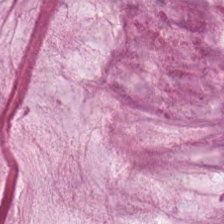20× equivalent magnification; 224×224 px patch; H&E — Classification: extracellular mucin.
